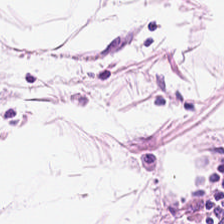Tissue type = adipose tissue.
